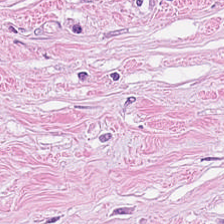H&E-stained tissue section. Q: What type of tissue is this?
A: The field shows tumor stroma.
